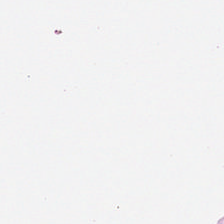WSI patch; H&E — This field is background (no tissue).
